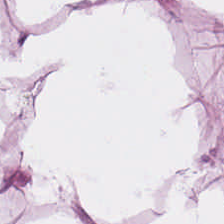H&E stain · brightfield microscopy — Finding — adipose.
